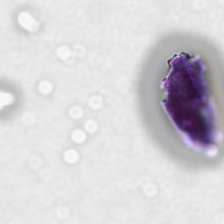Hematoxylin and eosin.
Impression — background.
